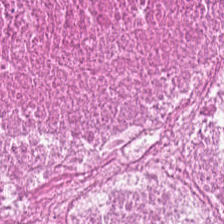Hematoxylin-and-eosin stained section — Tissue: cellular debris.
